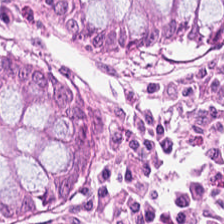Q: What type of tissue is this?
A: This is non-neoplastic colon mucosa.
